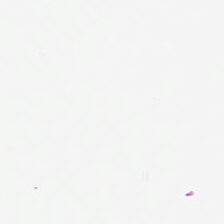Stain: hematoxylin-and-eosin stained section.
Tile size: 224×224 px tile.
Preparation: formalin-fixed paraffin-embedded section.
Field content: background.
